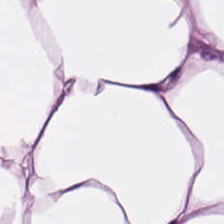224×224 px patch · hematoxylin-and-eosin stained section — {"tissue_type": "adipose"}
